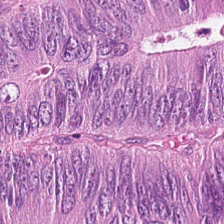H&E — This patch shows malignant epithelium.
